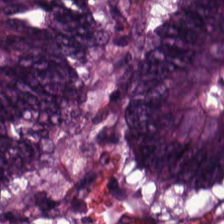Hematoxylin and eosin; 224×224 px patch — Tissue class — colorectal adenocarcinoma epithelium.
